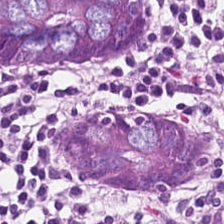0.5 µm/px; hematoxylin-and-eosin stained section. Predominantly non-neoplastic colon mucosa.
